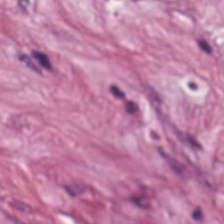WSI patch; hematoxylin-and-eosin stained section. The predominant tissue is cancer-associated stroma.
